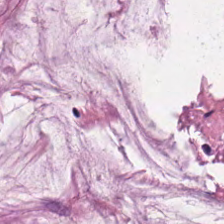The predominant tissue is mucin.
